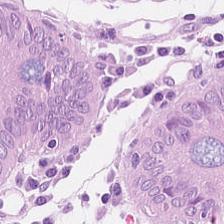H&E stain.
Normal colonic mucosa.
